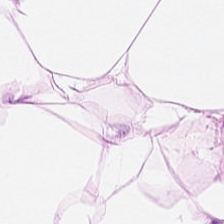Impression → adipose.
